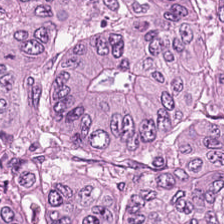Hematoxylin-and-eosin stained section. Predominantly colorectal adenocarcinoma epithelium.
